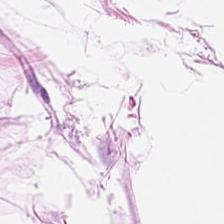H&E-stained tissue section; brightfield microscopy. Adipose tissue.
